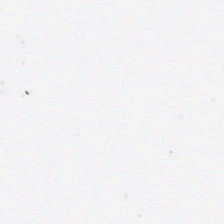Content: background.
